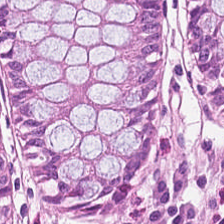FFPE · hematoxylin and eosin — Q: What is shown in this field?
A: Normal colon mucosa.
